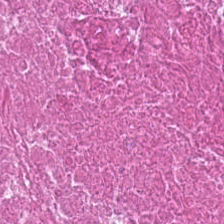Formalin-fixed paraffin-embedded section · WSI patch · H&E.
The tissue is debris.
